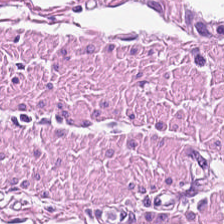H&E-stained tissue section. 224×224 pixel tile.
Predominant tissue: muscularis.
